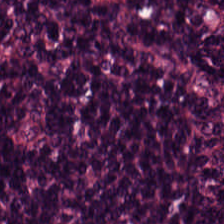0.5 µm per pixel · hematoxylin and eosin — Q: What is the predominant tissue type?
A: This is lymphocytes.
